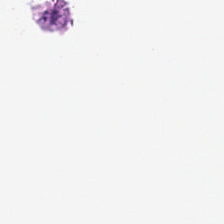H&E stain. Brightfield microscopy. FFPE tissue section — This field is background (no tissue).
